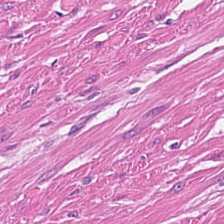H&E stain.
Predominant tissue: muscularis.
